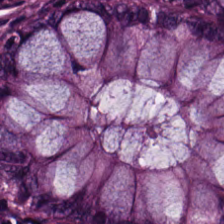Hematoxylin and eosin. WSI patch. 224×224 pixel tile.
The predominant tissue is non-neoplastic colon mucosa.
